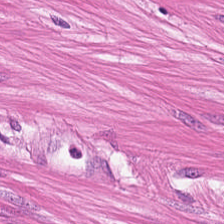Impression — smooth muscle.
